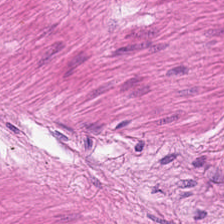Hematoxylin-and-eosin stained section; 20× equivalent magnification. Tissue class — muscularis.
